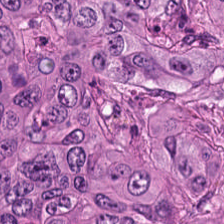Stain: hematoxylin and eosin.
Tissue type: adenocarcinoma.
